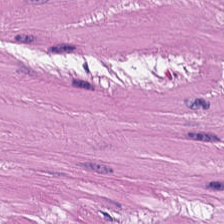Q: What tissue is shown?
A: The field shows muscularis.
